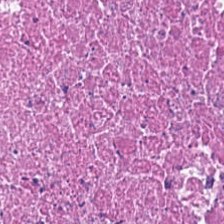Hematoxylin and eosin · 224×224 px patch · FFPE tissue section — Predominantly cellular debris.
